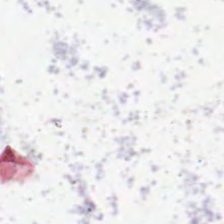H&E stain. Finding — background.
